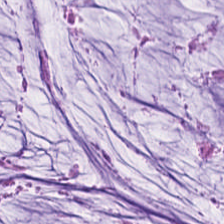Stain: H&E.
Tissue class: mucus.
